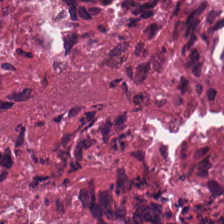Stain: H&E stain.
Tissue type: debris.
